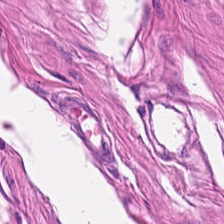0.5 microns per pixel · formalin-fixed paraffin-embedded section · H&E stain — Classification = smooth-muscle tissue.
